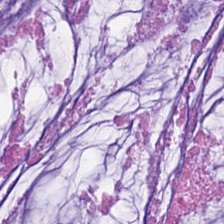H&E.
Extracellular mucin.
